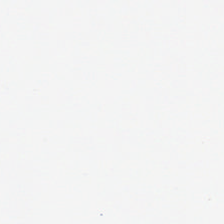Q: What does this patch show?
A: No tissue.
